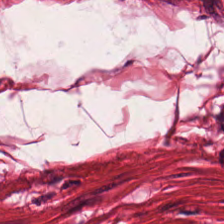20× equivalent magnification; hematoxylin and eosin — Tissue type = smooth-muscle tissue.
